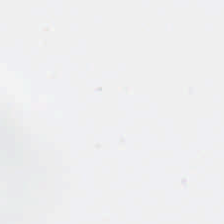Stain: H&E stain.
Content: background (no tissue).
